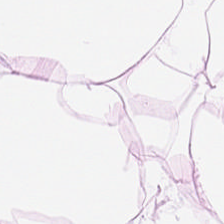Q: Classify this patch.
A: The field shows adipose tissue.
